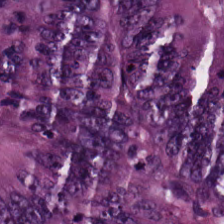Adenocarcinoma.
